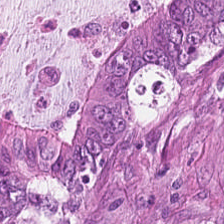The classification is colorectal adenocarcinoma.
